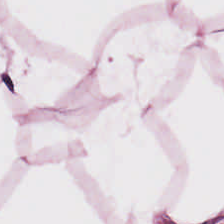H&E · brightfield microscopy.
This field is adipose tissue.
